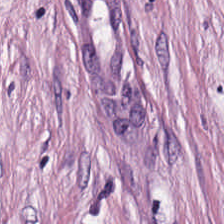H&E.
Finding → desmoplastic stroma.
